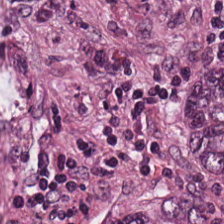H&E stain · 224×224 pixel tile · whole-slide-image patch — Predominant tissue = tumor epithelium.
